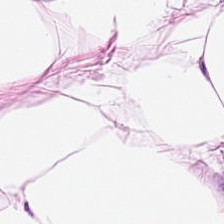H&E patch showing fat tissue.
